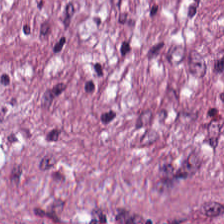H&E stain.
Classification: tumor stroma.
